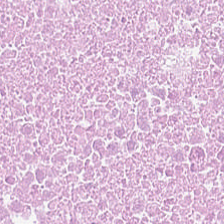H&E-stained tissue section.
Q: What is shown here?
A: It is necrotic debris.
